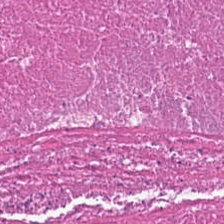Hematoxylin and eosin. Cellular debris.
